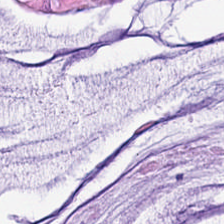Hematoxylin and eosin · formalin-fixed paraffin-embedded section · 20× equivalent magnification.
This field is extracellular mucin.
